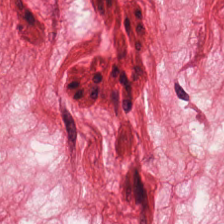FFPE. 0.5 µm per pixel. H&E stain — The predominant tissue is muscularis.
